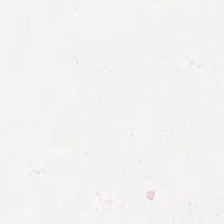Content: empty background.
